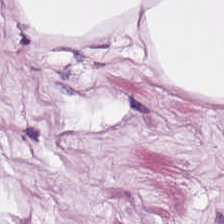H&E stain · 224×224 px tile · WSI patch — This patch shows adipose.
